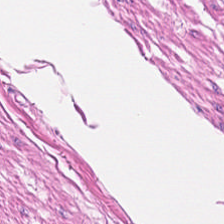20× equivalent magnification · 224×224 px tile · H&E. The predominant tissue is muscularis.
